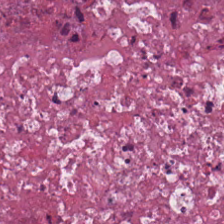Tissue type — necrotic debris.
